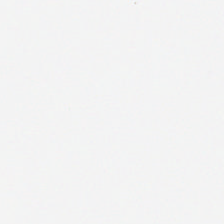H&E-stained tissue section.
This field is background (no tissue).
